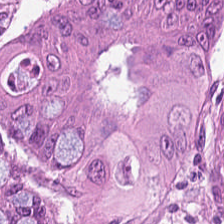H&E stain. Colorectal adenocarcinoma.
